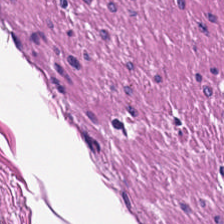H&E-stained tissue section. FFPE tissue section — Smooth-muscle tissue.
